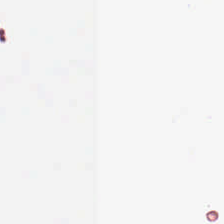Formalin-fixed paraffin-embedded section · hematoxylin-and-eosin stained section.
Q: What does this patch show?
A: This is no tissue.
